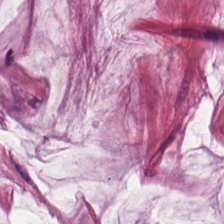Stain: hematoxylin-and-eosin stained section.
Preparation: formalin-fixed paraffin-embedded section.
Tissue: mucus.
